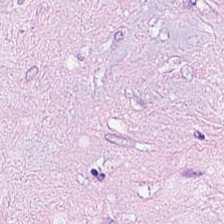H&E — cancer-associated stroma.
